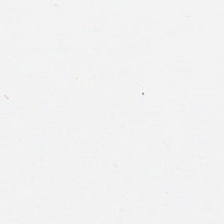H&E-stained tissue section · formalin-fixed paraffin-embedded section. This field is background (no tissue).
